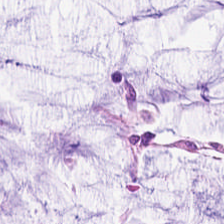0.5 µm/px · hematoxylin-and-eosin stained section · brightfield microscopy.
This patch shows extracellular mucin.
